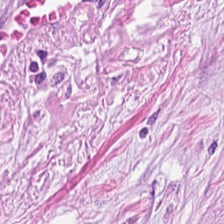H&E. This field is tumor-associated stroma.
